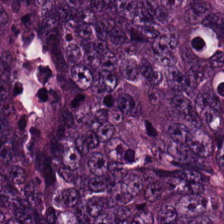20× equivalent magnification; hematoxylin and eosin. Q: Identify the tissue.
A: Malignant epithelium.
